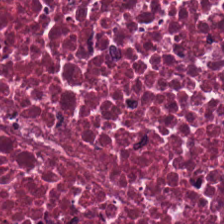H&E-stained tissue section · 224×224 px patch.
This patch shows debris.
